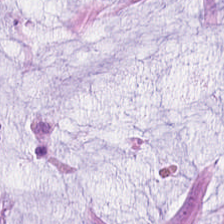Hematoxylin and eosin; FFPE tissue section — This patch shows mucin.
